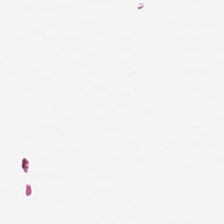H&E stain.
No tissue present; background only.
